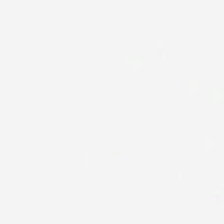H&E · FFPE.
Content = background (no tissue).
